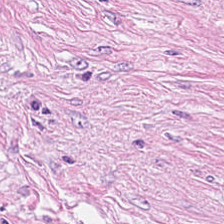H&E stain · FFPE tissue section.
Finding → cancer-associated stroma.
